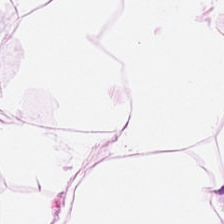H&E-stained section; the field shows adipose.
